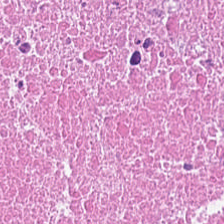H&E. Showing cellular debris.
